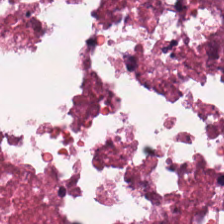Brightfield microscopy · hematoxylin-and-eosin stained section. Tissue class = cellular debris.
